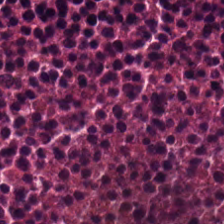Stain: H&E-stained tissue section.
Predominant tissue: debris.
